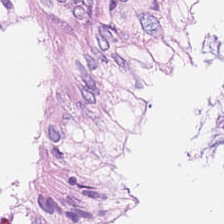H&E-stained tissue section showing benign colonic mucosa.
